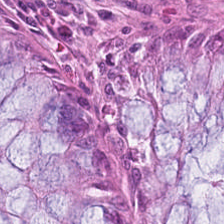Hematoxylin and eosin. Brightfield. {"tissue_type": "normal colonic mucosa"}
